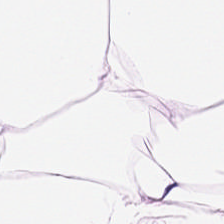Stain: H&E.
Tissue type: adipose.
